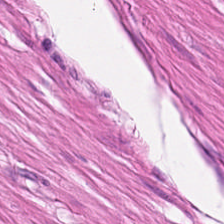Hematoxylin and eosin — This field is muscularis.
